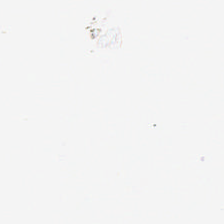Stain: hematoxylin and eosin.
Field content: empty background.
